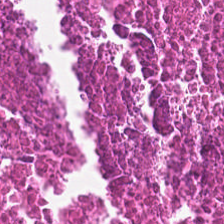Impression → cellular debris.
